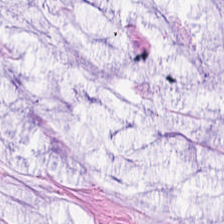FFPE. Hematoxylin and eosin. Whole-slide-image patch. The tissue is mucus.
